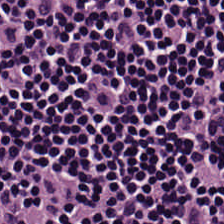Stain: H&E-stained tissue section.
Tissue class: lymphocytes.
